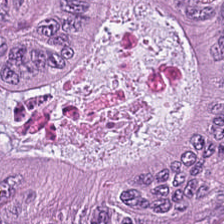H&E · 224×224 px tile · 0.5 microns per pixel.
Predominant tissue — malignant epithelium.
